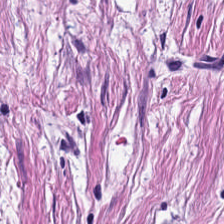Stain: hematoxylin-and-eosin stained section.
Classification: tumor stroma.
